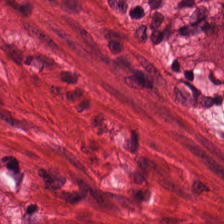WSI patch; hematoxylin-and-eosin stained section. Finding — smooth muscle.
